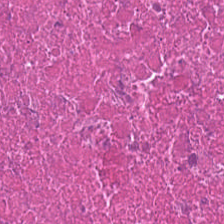Tissue class = necrotic debris.
